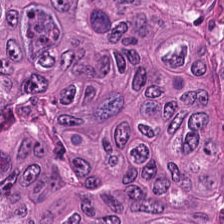Formalin-fixed paraffin-embedded section · hematoxylin and eosin · brightfield. {"tissue_type": "adenocarcinoma"}
